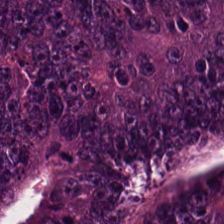Hematoxylin-and-eosin stained section.
Impression — colorectal adenocarcinoma.
